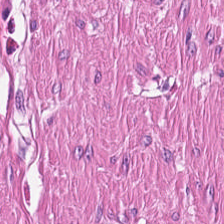H&E-stained section; the field shows smooth muscle.
